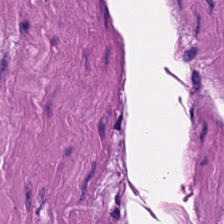Hematoxylin-and-eosin section: muscularis.
